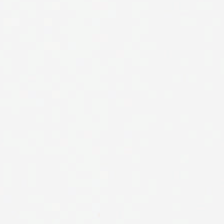Hematoxylin-and-eosin stained section. 224×224 px patch — Empty background.
